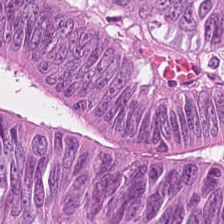Hematoxylin and eosin · FFPE. Predominantly colorectal adenocarcinoma.
